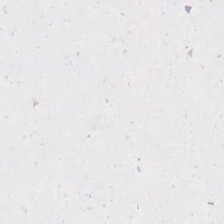Histology — background.
